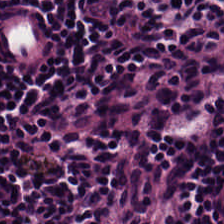H&E. 0.5 µm per pixel — Histology — lymphocyte aggregate.
